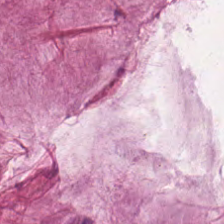Brightfield microscopy; H&E; 224×224 px tile — This field is mucin.
